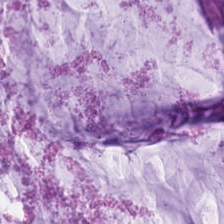Stain: hematoxylin-and-eosin stained section.
Tissue type: mucus.
